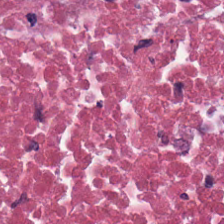H&E stain · brightfield microscopy.
The tissue class is debris.
